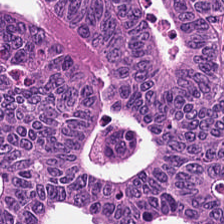Hematoxylin and eosin · WSI patch. The tissue class is colorectal adenocarcinoma epithelium.
